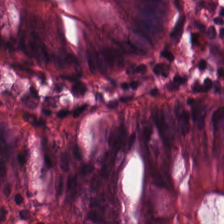{"tissue_type": "non-neoplastic colon mucosa"}
